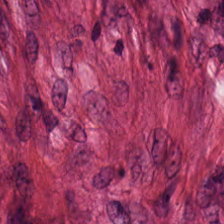Tissue type — cancer-associated stroma.
